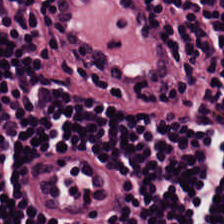H&E-stained tissue section. Lymphoid infiltrate.
